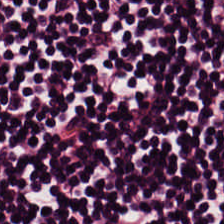Hematoxylin and eosin. The tissue type is lymphoid infiltrate.
